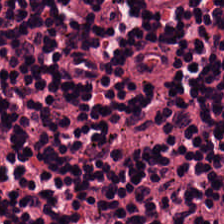H&E.
This patch shows lymphocyte aggregate.
